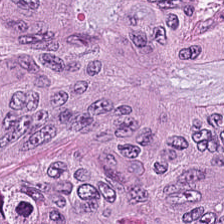H&E stain; 0.5 microns per pixel — Predominantly malignant epithelium.
